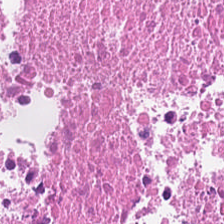Stain: hematoxylin and eosin.
Predominant tissue: necrotic debris.
